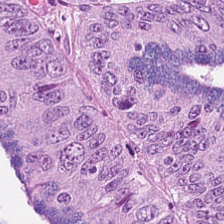20× equivalent magnification. H&E. 224×224 pixel tile. Showing malignant epithelium.
